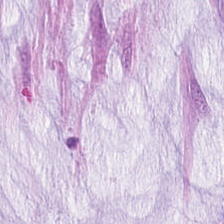224×224 pixel tile. H&E stain — Classification — mucus.
